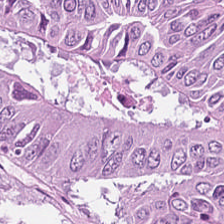Q: Identify the tissue.
A: Malignant epithelium.
